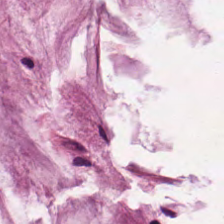Hematoxylin-and-eosin section: mucin.
